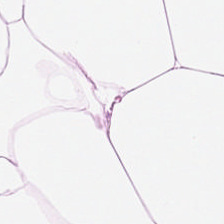H&E · 0.5 µm per pixel · brightfield.
Fat tissue.
